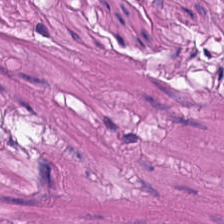Hematoxylin-and-eosin stained section · formalin-fixed paraffin-embedded section — Tissue class — muscularis.
